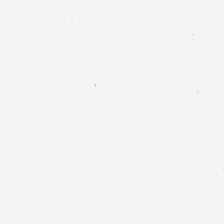Empty field — no tissue.
